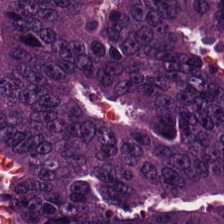H&E-stained tissue section.
Q: What is shown here?
A: Malignant epithelium.
